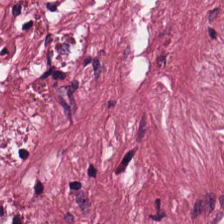H&E-stained tissue section. Predominantly desmoplastic stroma.
